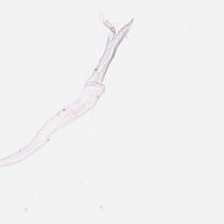Background (no tissue).
